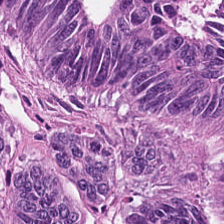0.5 µm per pixel. Hematoxylin and eosin. Histology — malignant epithelium.
